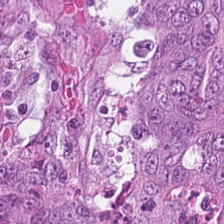Stain: H&E.
Classification: colorectal adenocarcinoma epithelium.
